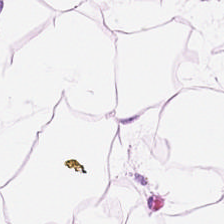H&E stain · FFPE tissue section — Tissue class — adipose.
